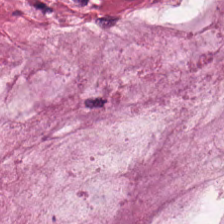Q: Classify this patch.
A: This is mucus.
